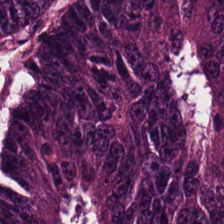FFPE tissue section; 224×224 px tile; hematoxylin and eosin.
The tissue type is colorectal adenocarcinoma epithelium.
